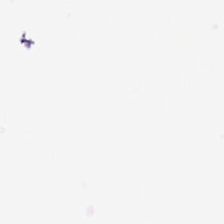Stain: hematoxylin and eosin.
Classification: background (no tissue).
